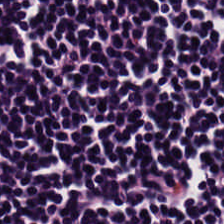Impression → lymphocyte aggregate.
